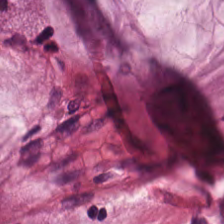Stain: H&E.
Classification: extracellular mucin.
